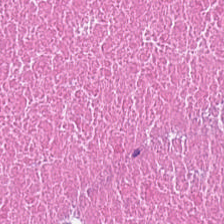This patch shows cellular debris.
